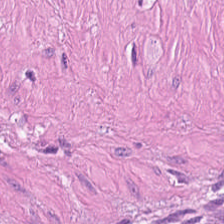Stain: hematoxylin and eosin.
Predominant tissue: smooth-muscle tissue.
